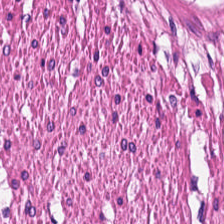Hematoxylin and eosin. Showing smooth-muscle tissue.
